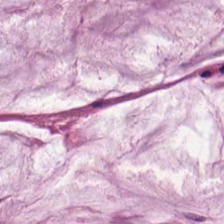FFPE. 224×224 px tile. H&E stain.
The tissue here is mucin.
